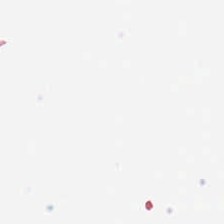H&E. Classification: background (no tissue).
